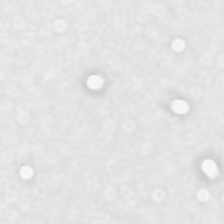Field content — background.
